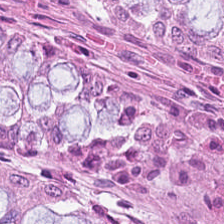Stain: H&E.
Resolution: 0.5 microns per pixel.
Tile size: 224×224 px patch.
Tissue: normal colon mucosa.
